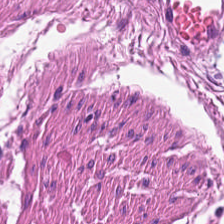H&E patch showing smooth-muscle tissue.
